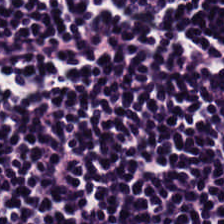Hematoxylin and eosin; 0.5 µm per pixel. Histology → lymphoid infiltrate.
